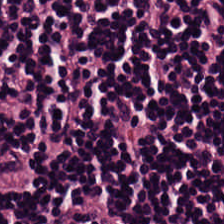H&E-stained tissue section — Q: Classify this patch.
A: The field shows lymphocyte aggregate.
